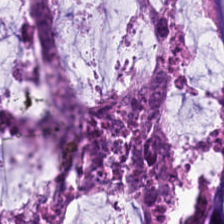Hematoxylin and eosin — This field is mucus.
